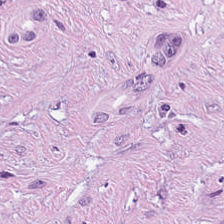Stain: hematoxylin-and-eosin stained section.
Tissue: tumor stroma.
